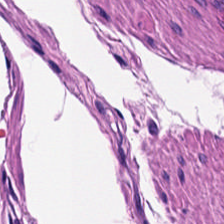H&E-stained tissue section.
The tissue here is muscularis.
